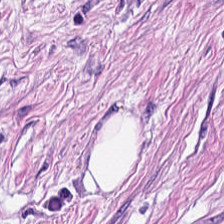Stain: hematoxylin and eosin.
Classification: smooth muscle.
